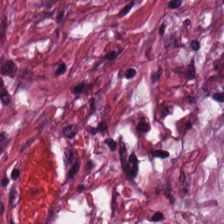{"tissue_type": "desmoplastic stroma"}
